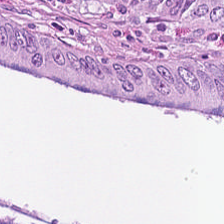H&E-stained tissue section.
The predominant tissue is malignant epithelium.
